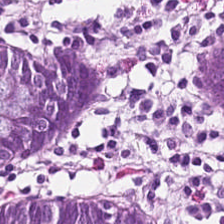Tissue — non-neoplastic colon mucosa.
